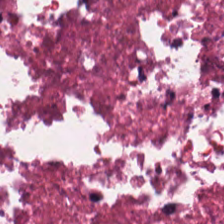FFPE tissue section. Hematoxylin and eosin. 224×224 pixel tile.
This field is cellular debris.
